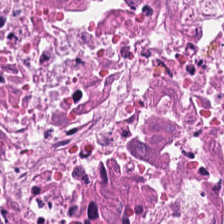Finding — necrotic debris.
